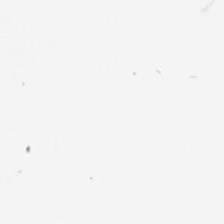H&E-stained tissue section.
Content = background.
